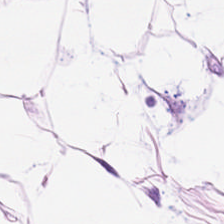Hematoxylin and eosin — This field is adipose tissue.
